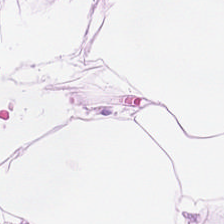H&E-stained section; the field shows fat tissue.
